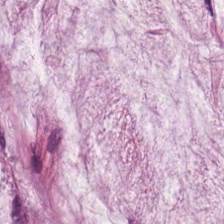H&E stain.
The tissue here is mucus.
